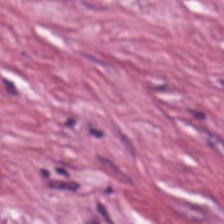H&E-stained tissue section.
Tissue class = cancer-associated stroma.
